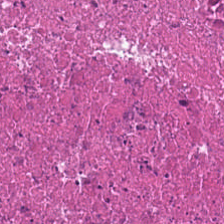Hematoxylin-and-eosin stained section — The tissue type is debris.
